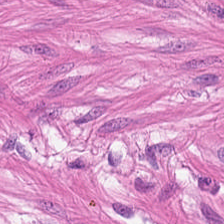H&E stain. The tissue here is muscularis.
